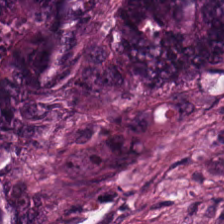H&E-stained tissue section. Q: What is the predominant tissue type?
A: The field shows tumor epithelium.
